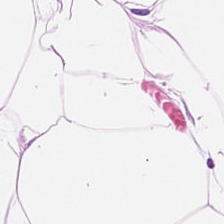H&E stain — Tissue class — fat tissue.
